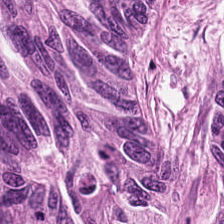H&E-stained tissue section.
Showing colorectal adenocarcinoma epithelium.
